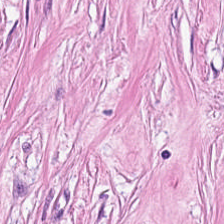Hematoxylin-and-eosin stained section. Q: What is shown here?
A: The field shows tumor stroma.
